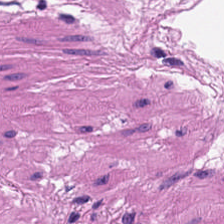H&E stain — Q: Classify this patch.
A: This is smooth muscle.
